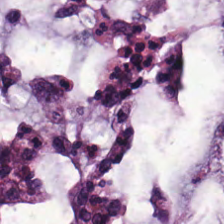H&E-stained tissue section — The predominant tissue is mucin.
